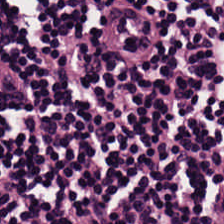H&E-stained tissue section. Predominantly lymphoid infiltrate.
